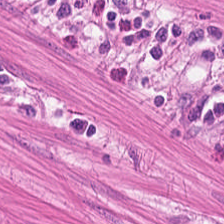0.5 µm per pixel; hematoxylin-and-eosin stained section; 224×224 px tile. The predominant tissue is smooth muscle.
